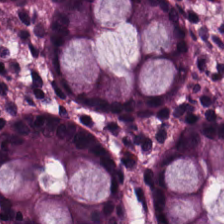The predominant tissue is normal colonic mucosa.
